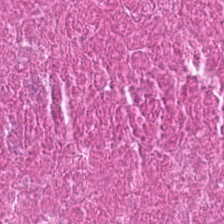Stain: H&E stain.
Preparation: FFPE tissue section.
Tile size: 224×224 pixel tile.
Classification: necrotic debris.
